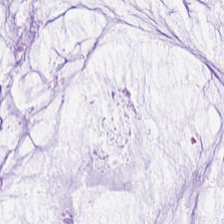Formalin-fixed paraffin-embedded section; 224×224 px tile; H&E stain. Q: What is the predominant tissue type?
A: It is extracellular mucin.
